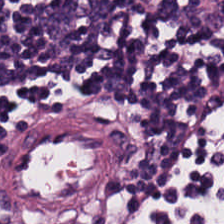H&E-stained tissue section.
Classification: lymphocyte aggregate.
